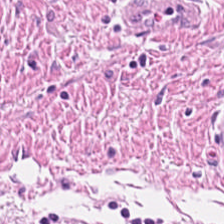Hematoxylin-and-eosin stained section; FFPE; 224×224 pixel tile.
This patch shows muscularis.
